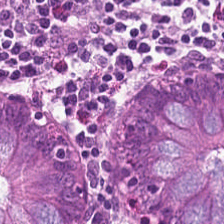H&E stain. Impression → benign colonic mucosa.
